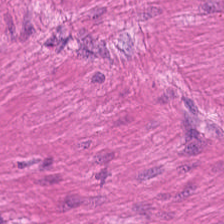H&E — smooth muscle.
